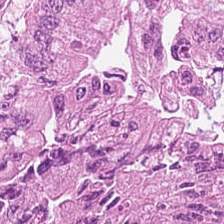Hematoxylin and eosin — This patch shows malignant epithelium.
